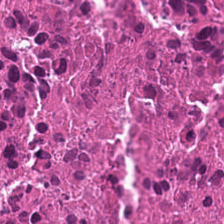H&E-stained tissue section.
Q: What is shown in this field?
A: It is cellular debris.
